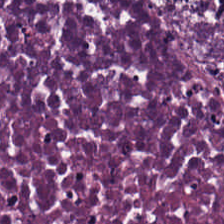Brightfield · 20× equivalent magnification · H&E stain.
Predominant tissue: cellular debris.
